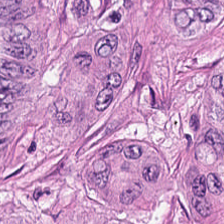{"tissue_type": "tumor epithelium"}
